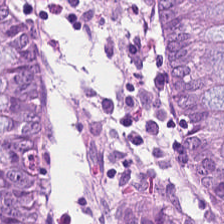Histology → normal colon mucosa.
